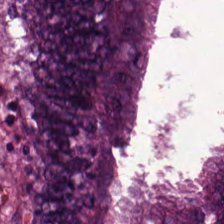H&E-stained tissue section · 0.5 µm per pixel · formalin-fixed paraffin-embedded section.
Tissue class: colorectal adenocarcinoma.
